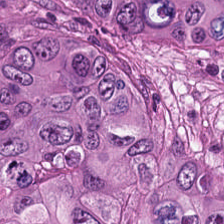H&E stain. Q: What is shown in this field?
A: The field shows colorectal adenocarcinoma epithelium.
